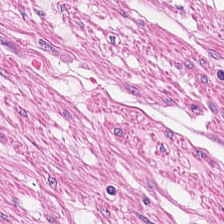H&E — smooth-muscle tissue.
